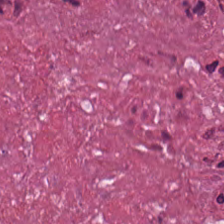Formalin-fixed paraffin-embedded section · H&E — Histology — cellular debris.
